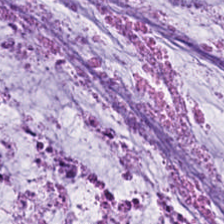Hematoxylin-and-eosin stained section · 224×224 pixel tile. Q: Identify the tissue.
A: This is mucin.
